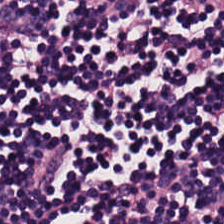224×224 px tile · H&E stain.
The predominant tissue is lymphocytes.
